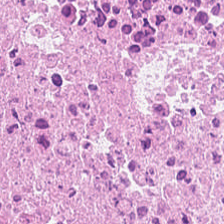H&E stain · FFPE. This field is necrotic debris.
